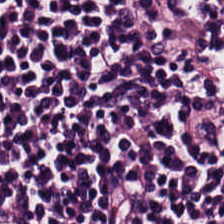Hematoxylin and eosin. The predominant tissue is lymphocyte aggregate.
